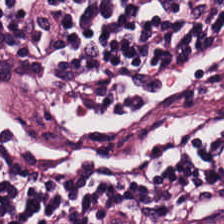Impression → lymphoid infiltrate.
